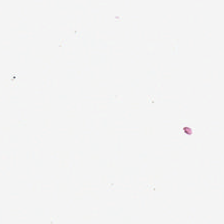Background — no tissue in this field.
